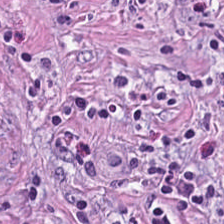H&E stain · 224×224 px patch · 0.5 microns per pixel. The tissue here is tumor stroma.
